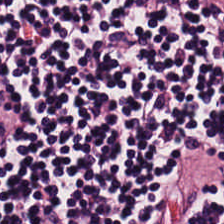Stain: hematoxylin-and-eosin stained section.
Tissue: lymphocytic infiltrate.
